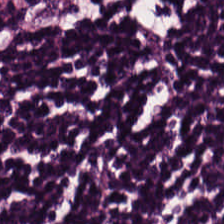Hematoxylin and eosin.
Histology → lymphocytic infiltrate.
